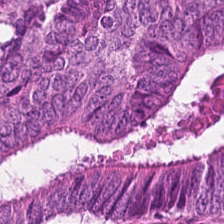H&E stain.
Predominant tissue — colorectal adenocarcinoma epithelium.
